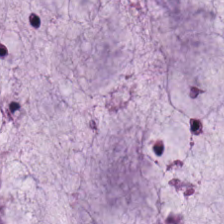H&E stain; brightfield. Mucin.
